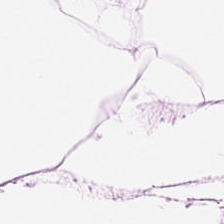H&E-stained tissue section. This patch shows adipocytes.
